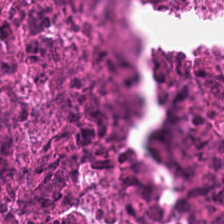{"tissue_type": "necrotic debris"}
